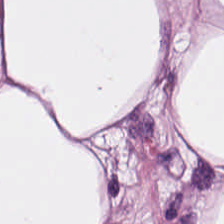H&E stain. This patch shows fat tissue.
